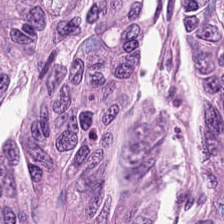0.5 microns per pixel. H&E-stained tissue section.
This patch shows colorectal adenocarcinoma.
